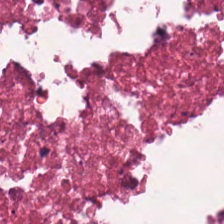FFPE tissue section. Hematoxylin-and-eosin stained section. 224×224 pixel tile. Impression — cellular debris.
